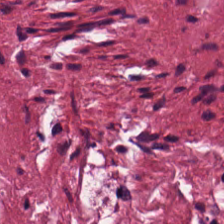Stain: hematoxylin and eosin.
Preparation: FFPE.
Tissue class: tumor stroma.
